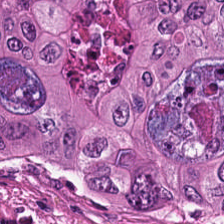Stain: H&E-stained tissue section.
Tissue: colorectal adenocarcinoma.
